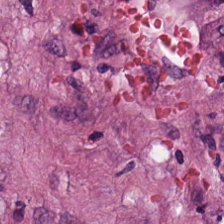H&E-stained tissue section. 224×224 pixel tile. Tissue = cancer-associated stroma.
